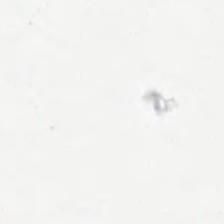Hematoxylin-and-eosin stained section. Formalin-fixed paraffin-embedded section. Whole-slide-image patch. This field is background (no tissue).
